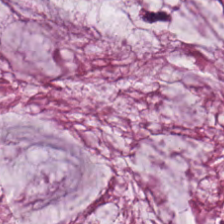H&E stain.
The classification is mucin.
